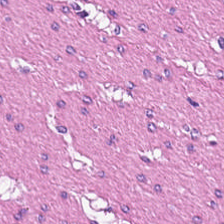H&E stain; formalin-fixed paraffin-embedded section; 0.5 microns per pixel.
The tissue class is muscularis.
